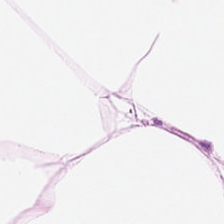H&E-stained tissue section — Impression → adipocytes.
